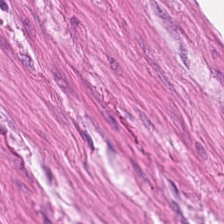Stain: H&E.
Tissue type: smooth muscle.
